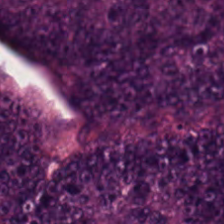H&E-stained tissue section — Colorectal adenocarcinoma.
